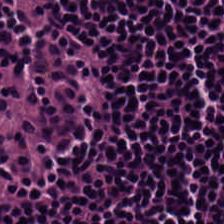The tissue class is lymphocyte aggregate.
